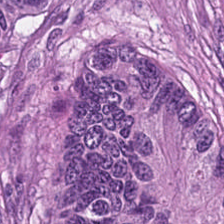H&E-stained tissue section · 0.5 µm per pixel · brightfield microscopy — Impression → colorectal adenocarcinoma.
